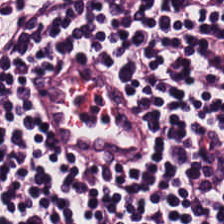Formalin-fixed paraffin-embedded section. H&E. The tissue class is lymphocytes.
